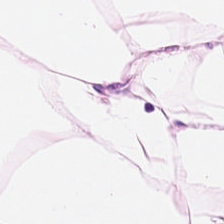H&E stain. 0.5 µm per pixel.
Q: What is shown here?
A: This is adipose tissue.
